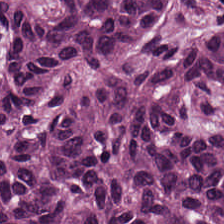224×224 pixel tile; H&E-stained tissue section — Predominant tissue — tumor epithelium.
